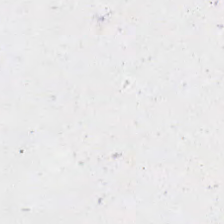H&E — The classification is no tissue.
